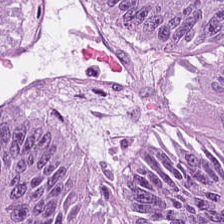Hematoxylin and eosin — The tissue type is colorectal adenocarcinoma epithelium.
